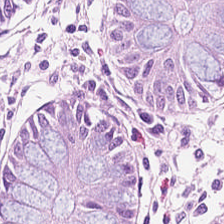Classification = normal colonic mucosa.
